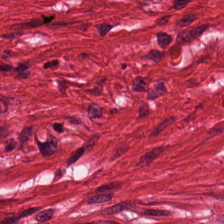H&E. Whole-slide-image patch — Tissue: smooth-muscle tissue.
